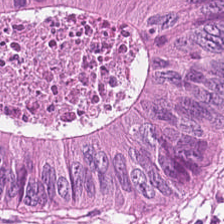Hematoxylin-and-eosin stained section — Predominant tissue — adenocarcinoma.
